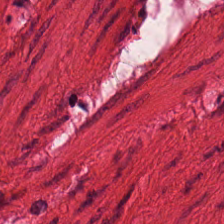Hematoxylin-and-eosin stained section.
Q: What is shown here?
A: This is muscularis.
